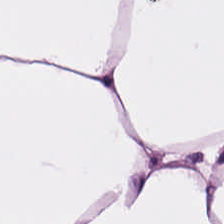Hematoxylin-and-eosin stained section.
Showing fat tissue.
